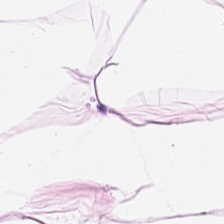H&E-stained tissue section. {"tissue_type": "adipocytes"}
